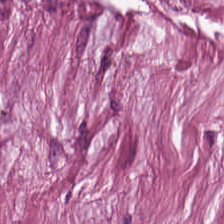20× equivalent magnification; brightfield microscopy; hematoxylin-and-eosin stained section — Impression — desmoplastic stroma.
